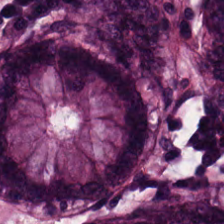H&E. Finding — normal colonic mucosa.
